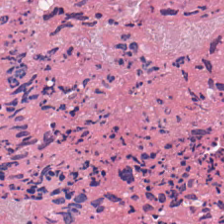H&E; brightfield microscopy; formalin-fixed paraffin-embedded section. Tissue: necrotic debris.
